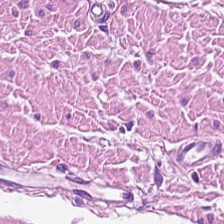FFPE. Hematoxylin-and-eosin stained section. WSI patch. Tissue — smooth-muscle tissue.
